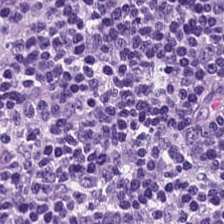Lymphocytes.
